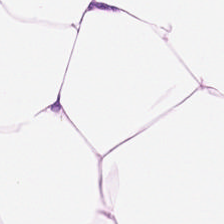224×224 pixel tile; brightfield; H&E stain — {"tissue_type": "adipose"}
